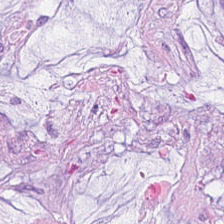Hematoxylin-and-eosin stained section — Q: What does this patch show?
A: This is extracellular mucin.
